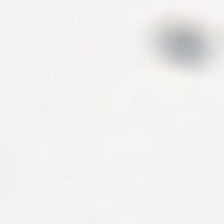H&E; FFPE.
Q: What is shown here?
A: The field shows no tissue.
